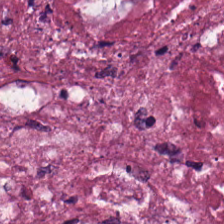H&E stain. FFPE. 0.5 µm per pixel — Predominant tissue: cellular debris.
